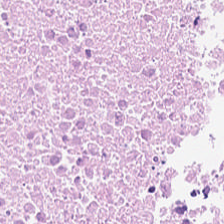H&E. Histology → cellular debris.
